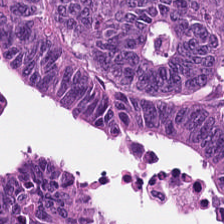Hematoxylin and eosin; 20× equivalent magnification; 224×224 px tile — Predominant tissue: colorectal adenocarcinoma epithelium.
